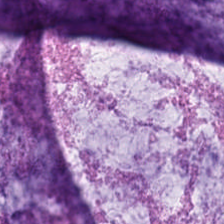Hematoxylin-and-eosin stained section.
Showing extracellular mucin.
